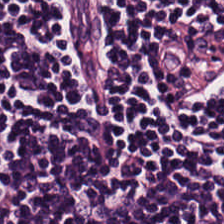H&E-stained tissue section. Classification — lymphoid infiltrate.
